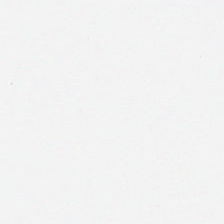H&E-stained tissue section. {"content": "background"}
